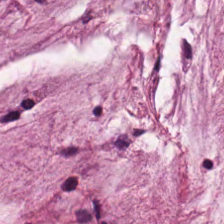H&E.
Showing mucin.
